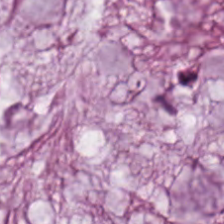H&E — Q: What is shown in this field?
A: Extracellular mucin.
